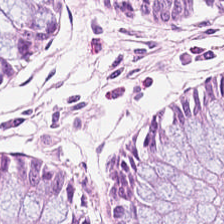224×224 pixel tile · H&E · brightfield.
Q: What is the predominant tissue type?
A: This is normal colon mucosa.
